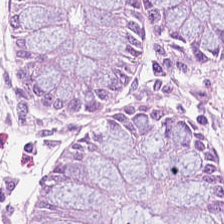H&E.
The predominant tissue is non-neoplastic colon mucosa.
